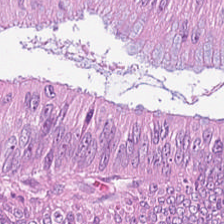20× equivalent magnification. FFPE. H&E stain. Predominantly tumor epithelium.
